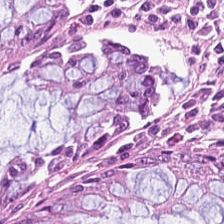H&E-stained tissue section. Tissue type = normal colon mucosa.
